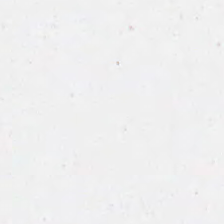Stain: H&E.
Resolution: 0.5 µm per pixel.
Classification: background.
